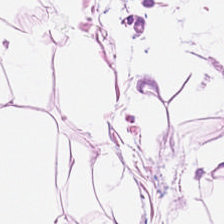H&E-stained tissue section — Tissue — fat tissue.
